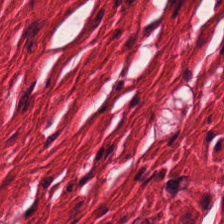Stain: H&E.
Preparation: formalin-fixed paraffin-embedded section.
Classification: muscularis.
